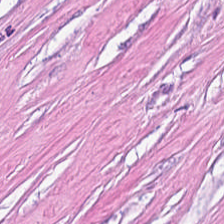Hematoxylin-and-eosin stained section. Formalin-fixed paraffin-embedded section — Predominantly tumor stroma.
